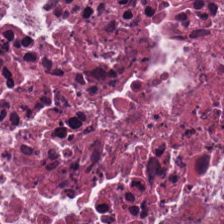Predominant tissue = necrotic debris.
